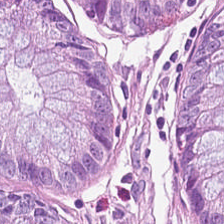H&E-stained tissue section; WSI patch — Normal colon mucosa.
